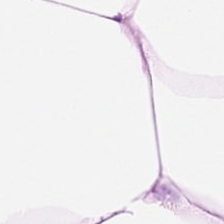Q: What tissue type is shown here?
A: It is adipose tissue.
